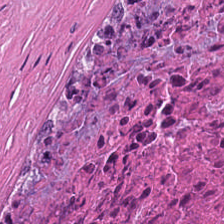Classification: cellular debris.
